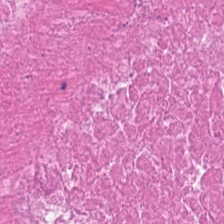H&E-stained tissue section. Q: What is shown here?
A: The field shows cellular debris.
